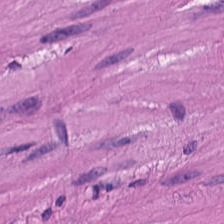Predominantly smooth-muscle tissue.
